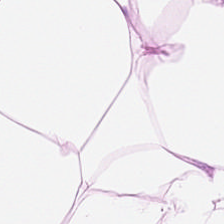Brightfield. H&E-stained tissue section.
Adipose tissue.
